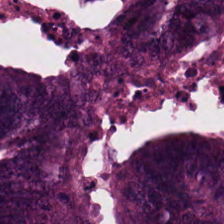H&E. The tissue here is colorectal adenocarcinoma epithelium.
